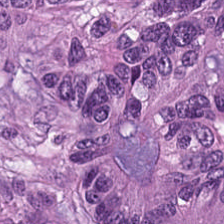Hematoxylin and eosin.
Showing colorectal adenocarcinoma.
